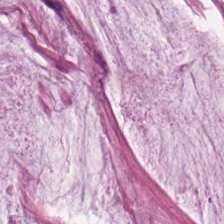H&E stain — Predominantly mucus.
